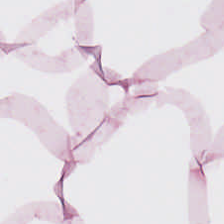H&E stain. Histology — adipocytes.
